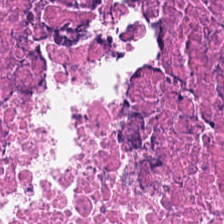Hematoxylin and eosin. 20× equivalent magnification. Tissue type = debris.
